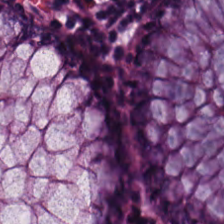Hematoxylin and eosin.
Tissue class — benign colonic mucosa.
